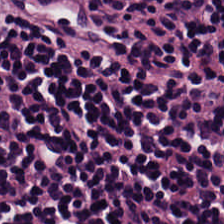H&E.
Histology → lymphocyte aggregate.
